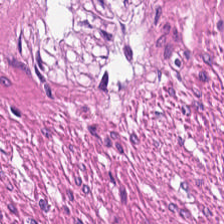H&E. Predominantly smooth-muscle tissue.
